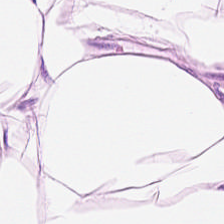Q: What is shown in this field?
A: This is adipose tissue.
